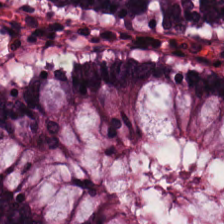Whole-slide-image patch; hematoxylin-and-eosin stained section; 20× equivalent magnification. Q: What tissue type is shown here?
A: It is normal colon mucosa.
